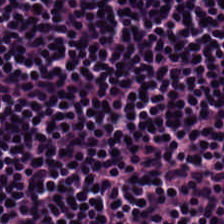H&E stain — Q: What type of tissue is this?
A: It is lymphocyte aggregate.
